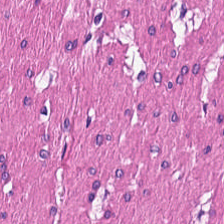Tissue: smooth muscle.
